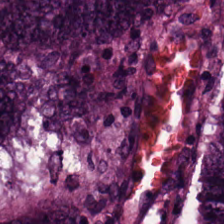Stain: hematoxylin and eosin.
Acquisition: brightfield.
Classification: malignant epithelium.
